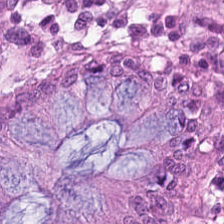Histology → normal colonic mucosa.
